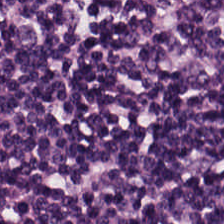Tissue class — lymphocytic infiltrate.
